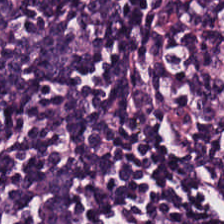Stain: H&E stain.
Predominant tissue: lymphoid infiltrate.
